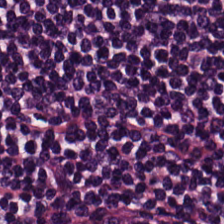0.5 µm per pixel; H&E stain; 224×224 pixel tile. The tissue here is lymphocytic infiltrate.
